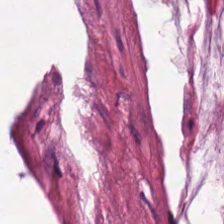H&E — Q: What tissue is shown?
A: It is mucus.
